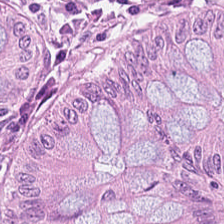Hematoxylin-and-eosin stained section; 0.5 µm per pixel.
Showing normal colonic mucosa.
